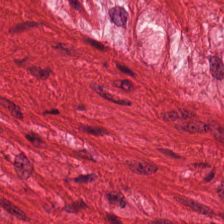This field is smooth-muscle tissue.
